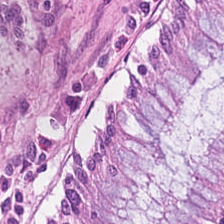H&E-stained section; the field shows normal colonic mucosa.
